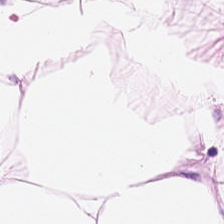FFPE tissue section. Hematoxylin and eosin. Whole-slide-image patch. The predominant tissue is adipose.
